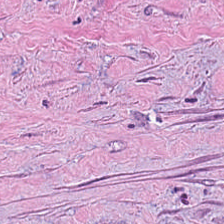H&E-stained tissue section. The tissue type is tumor stroma.
